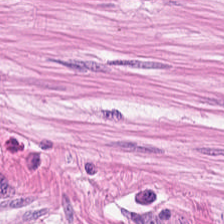Hematoxylin-and-eosin stained section — Classification — muscularis.
